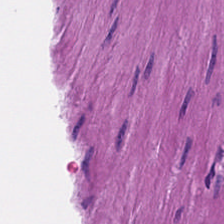Stain: H&E-stained tissue section.
Acquisition: brightfield.
Resolution: 0.5 µm per pixel.
Tissue class: muscularis.
